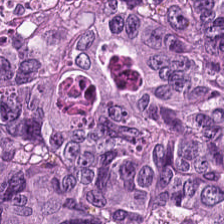H&E. Predominantly colorectal adenocarcinoma.
